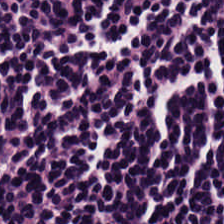Hematoxylin-and-eosin section: lymphocyte aggregate.
